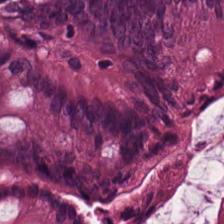H&E stain. FFPE.
The predominant tissue is benign colonic mucosa.
